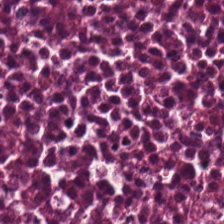224×224 pixel tile; H&E stain; 0.5 µm/px.
Histology → cellular debris.
